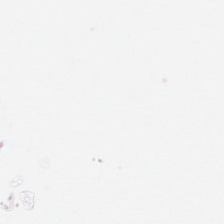Hematoxylin-and-eosin stained section; 224×224 px tile; FFPE tissue section — The classification is no tissue.
